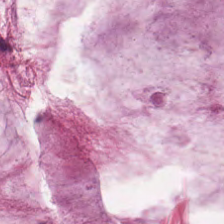Brightfield. Hematoxylin and eosin. The predominant tissue is extracellular mucin.
